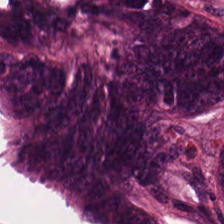Hematoxylin-and-eosin stained section — This field is colorectal adenocarcinoma epithelium.
